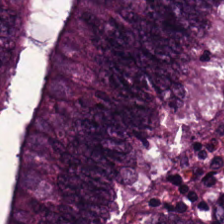Q: What type of tissue is this?
A: The field shows malignant epithelium.
